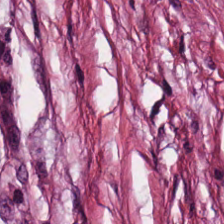H&E stain — Q: What type of tissue is this?
A: It is tumor-associated stroma.
